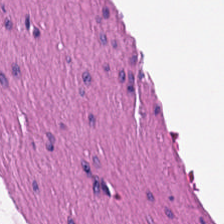Stain: H&E-stained tissue section.
Preparation: formalin-fixed paraffin-embedded section.
Classification: smooth-muscle tissue.
